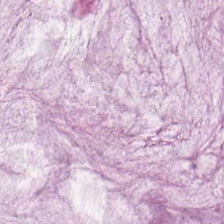Tissue: mucin.
